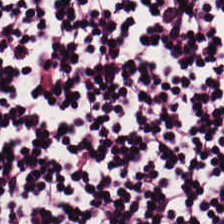Stain: H&E stain.
Tissue: lymphoid infiltrate.
